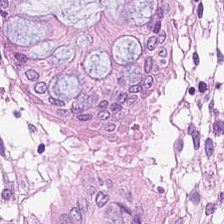224×224 px tile · H&E.
Histology — normal colonic mucosa.
